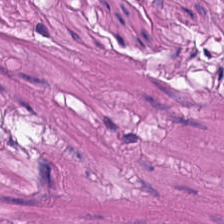H&E stain.
This field is muscularis.
